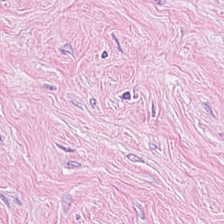Q: What does this patch show?
A: It is desmoplastic stroma.
